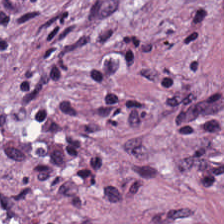WSI patch · H&E. Predominantly desmoplastic stroma.
